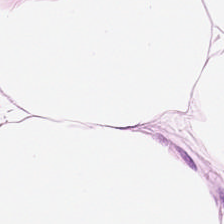H&E stain.
Tissue type — adipose tissue.
